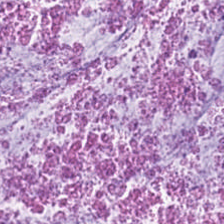Hematoxylin-and-eosin stained section; 224×224 px tile. Tissue type: mucus.
